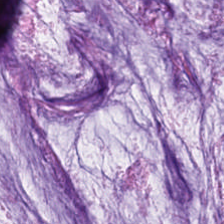H&E stain. This field is extracellular mucin.
